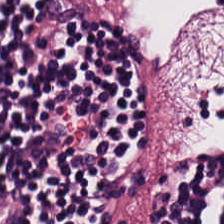Hematoxylin-and-eosin stained section. The tissue here is lymphocytic infiltrate.
